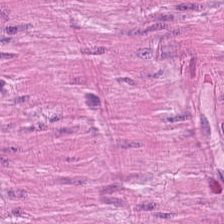Classification — smooth-muscle tissue.
